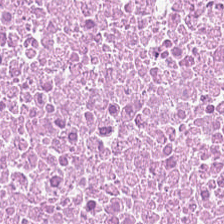Tissue = necrotic debris.
